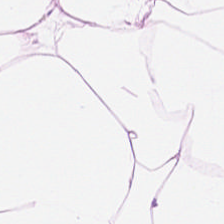H&E stain. Tissue type: adipocytes.
